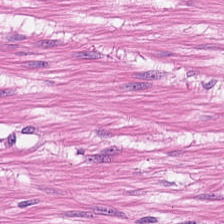FFPE tissue section · H&E. Finding → muscularis.
